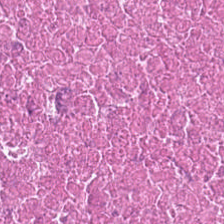Hematoxylin-and-eosin stained section.
Q: What tissue is shown?
A: It is necrotic debris.
